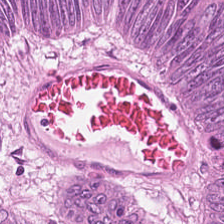224×224 px tile. H&E stain. WSI patch. The predominant tissue is tumor epithelium.
